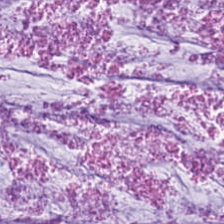Stain: H&E stain.
Classification: mucin.
